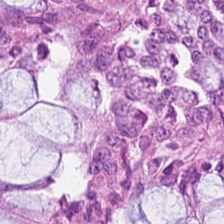Finding → normal colonic mucosa.
